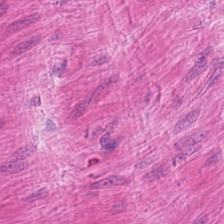Hematoxylin and eosin. 0.5 µm per pixel. This patch shows smooth-muscle tissue.
